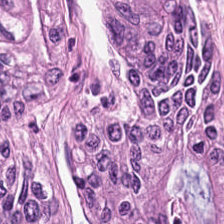H&E · 224×224 px tile.
Predominant tissue: colorectal adenocarcinoma.
